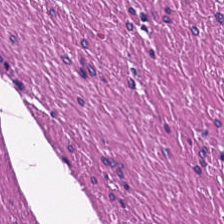Hematoxylin-and-eosin stained section · FFPE tissue section.
The tissue here is smooth muscle.
